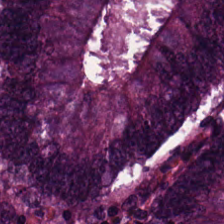Stain: hematoxylin-and-eosin stained section.
Classification: tumor epithelium.
